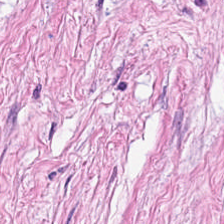Hematoxylin and eosin. Tissue class: cancer-associated stroma.
